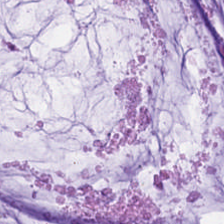H&E-stained tissue section.
Extracellular mucin.
